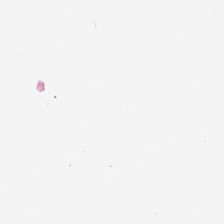Q: What is shown in this field?
A: Background.
